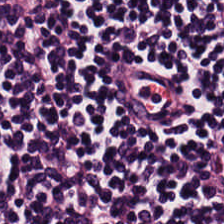Predominantly lymphoid infiltrate.
